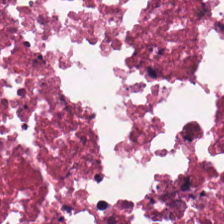224×224 pixel tile; H&E-stained tissue section. Impression → necrotic debris.
